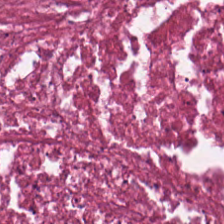H&E — necrotic debris.
